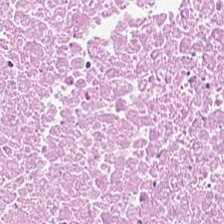H&E; FFPE tissue section.
This patch shows debris.
